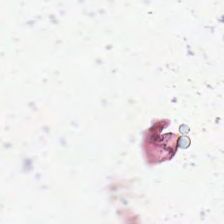FFPE tissue section · hematoxylin and eosin · whole-slide-image patch. Q: What does this patch show?
A: The field shows background (no tissue).
